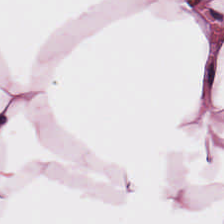Hematoxylin-and-eosin section: adipose tissue.
